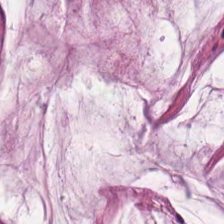Hematoxylin and eosin. Showing mucin.
